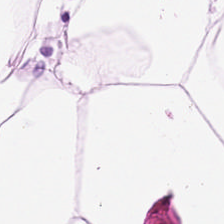H&E. The predominant tissue is adipose.
